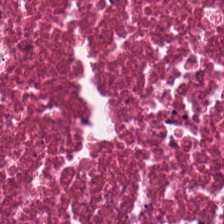Formalin-fixed paraffin-embedded section · 224×224 px patch · hematoxylin-and-eosin stained section — Histology — necrotic debris.
